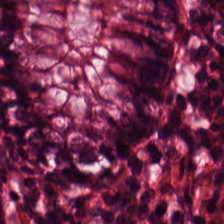0.5 microns per pixel · hematoxylin-and-eosin stained section. Non-neoplastic colon mucosa.
